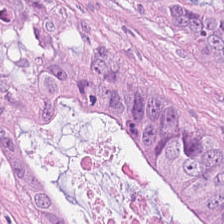Showing tumor epithelium.
